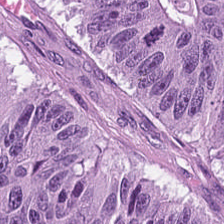Hematoxylin-and-eosin stained section; 224×224 px tile; 0.5 µm per pixel.
The tissue class is tumor epithelium.
